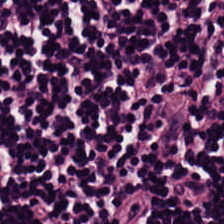H&E. 224×224 pixel tile. Finding — lymphocyte aggregate.
